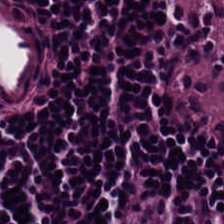Tissue type: lymphoid infiltrate.
